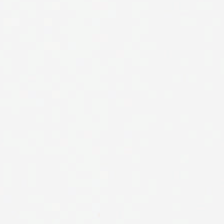Brightfield microscopy; hematoxylin and eosin — Classification — background (no tissue).
